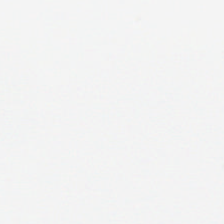Stain: H&E-stained tissue section.
Field content: background.
